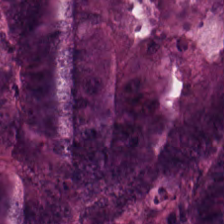Hematoxylin-and-eosin section: adenocarcinoma.
